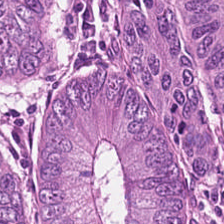Stain: hematoxylin-and-eosin stained section.
Resolution: 0.5 microns per pixel.
Tile size: 224×224 pixel tile.
Predominant tissue: colorectal adenocarcinoma.
